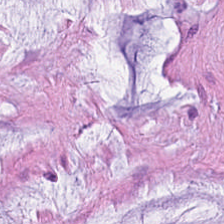Hematoxylin and eosin.
The classification is mucin.
